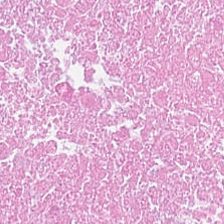H&E.
Q: What type of tissue is this?
A: This is debris.
